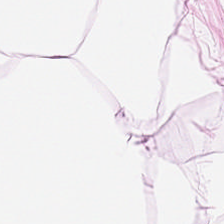This patch shows adipose.
